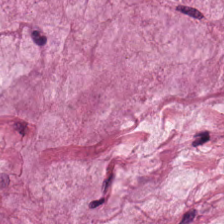Stain: H&E.
Tile size: 224×224 px patch.
Classification: mucin.
